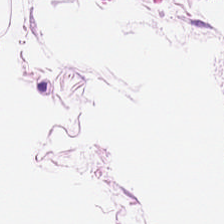H&E-stained tissue section — Q: Classify this patch.
A: It is adipose tissue.
